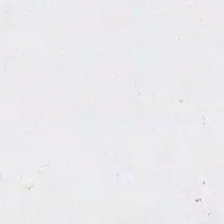H&E. Background — no tissue in this field.
